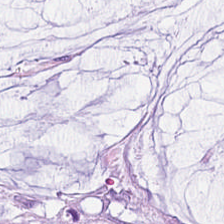H&E-stained tissue section — The predominant tissue is mucus.
